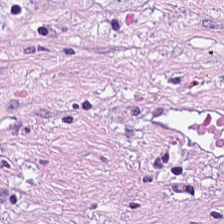H&E stain — The tissue here is tumor stroma.
